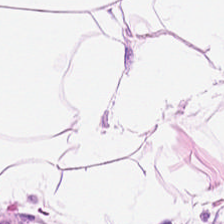H&E-stained tissue section — Tissue = adipose.
